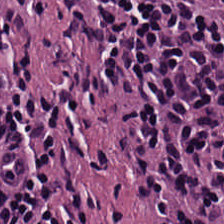Hematoxylin and eosin.
Impression → lymphoid infiltrate.
